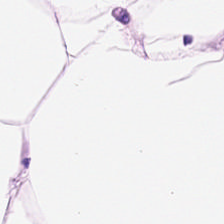224×224 px patch; hematoxylin and eosin. This field is fat tissue.
